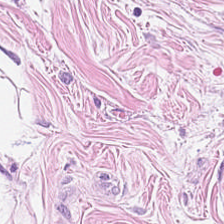H&E stain — Impression → adipocytes.
